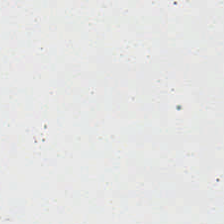H&E. Q: Classify this patch.
A: The field shows no tissue.
